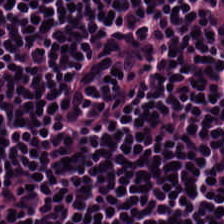This patch shows lymphoid infiltrate.
